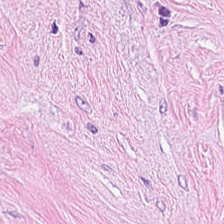H&E-stained tissue section. Tissue type — tumor-associated stroma.
